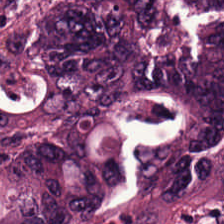Classification — malignant epithelium.
